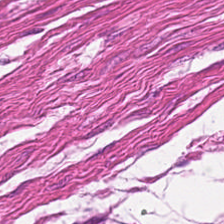H&E stain. Tissue — smooth muscle.
